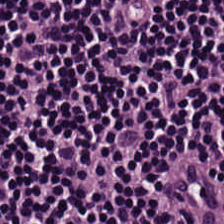Q: What is shown here?
A: Lymphoid infiltrate.
